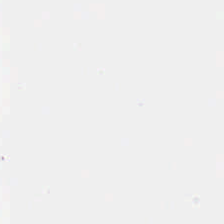Content: no tissue.
